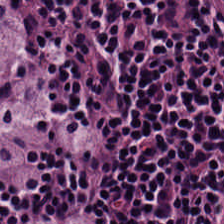H&E-stained tissue section showing lymphocytes.
